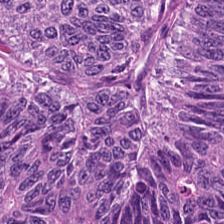Hematoxylin and eosin.
{"tissue_type": "colorectal adenocarcinoma"}
